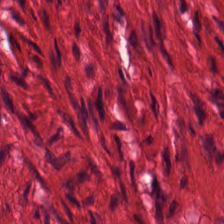Predominant tissue — muscularis.
